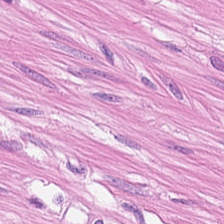H&E-stained tissue section. 224×224 px patch.
Q: What tissue is shown?
A: The field shows muscularis.
